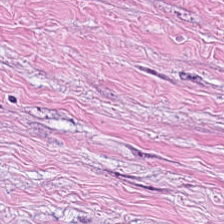Hematoxylin and eosin — This patch shows tumor stroma.
